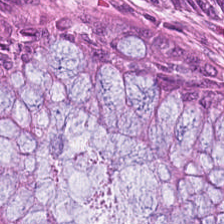Formalin-fixed paraffin-embedded section; H&E — Histology → non-neoplastic colon mucosa.
